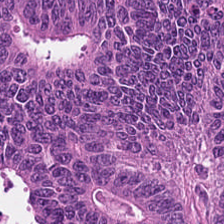Hematoxylin and eosin; WSI patch; FFPE tissue section. Impression — colorectal adenocarcinoma epithelium.
